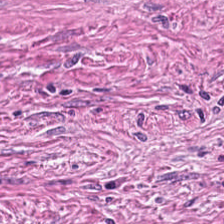Tissue type: desmoplastic stroma.
